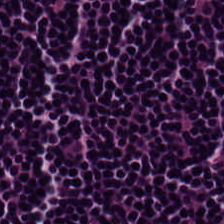H&E — lymphocyte aggregate.
